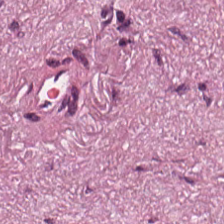Tissue class = desmoplastic stroma.
